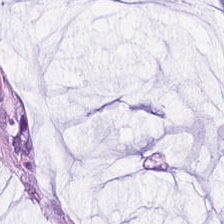H&E · brightfield microscopy.
The classification is extracellular mucin.
